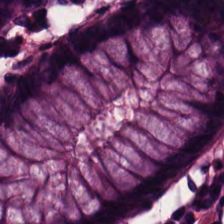H&E-stained tissue section — Tissue — non-neoplastic colon mucosa.
